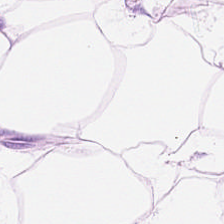H&E-stained tissue section.
The tissue here is adipose.
